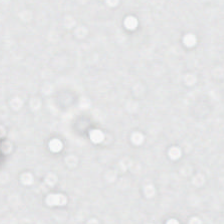FFPE; WSI patch; H&E-stained tissue section — Field content: empty background.
